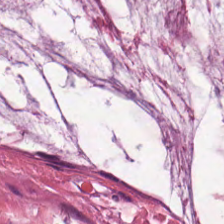Hematoxylin-and-eosin stained section — Tissue type = extracellular mucin.
